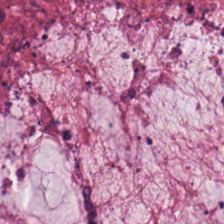This patch shows extracellular mucin.
